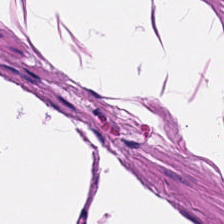Stain: hematoxylin and eosin.
Tissue: smooth-muscle tissue.
